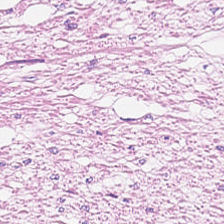Hematoxylin and eosin. Formalin-fixed paraffin-embedded section.
Histology — smooth-muscle tissue.
